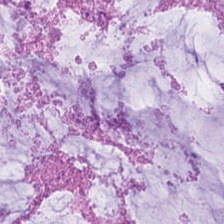Showing mucin.
